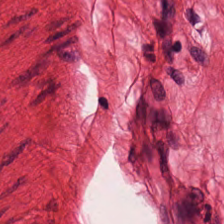H&E-stained tissue section. Brightfield microscopy. This patch shows smooth-muscle tissue.
